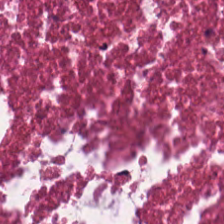Q: What tissue is shown?
A: This is cellular debris.
